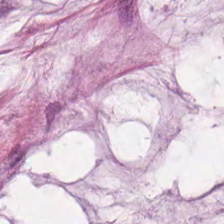Hematoxylin and eosin.
{"tissue_type": "mucus"}
